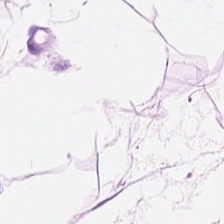Histology — fat tissue.
